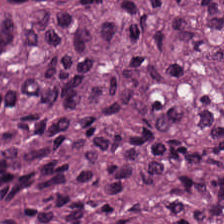Hematoxylin-and-eosin stained section.
Malignant epithelium.
